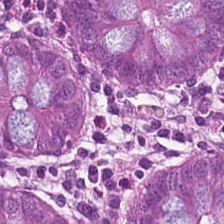H&E stain. Q: What tissue type is shown here?
A: Non-neoplastic colon mucosa.
